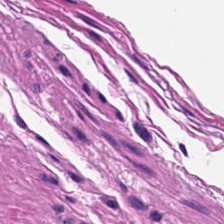Hematoxylin-and-eosin stained section. Tissue class: muscularis.
